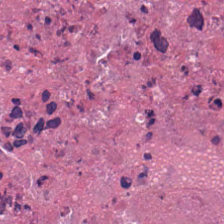H&E — necrotic debris.
